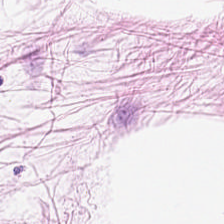Stain: H&E stain.
Tile size: 224×224 px patch.
Acquisition: WSI patch.
Tissue: adipose tissue.
